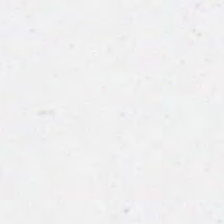Hematoxylin and eosin — Field content: empty background.
